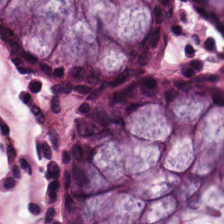Hematoxylin and eosin — Showing normal colon mucosa.
